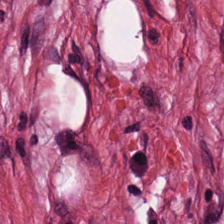Hematoxylin-and-eosin stained section. This field is tumor-associated stroma.
